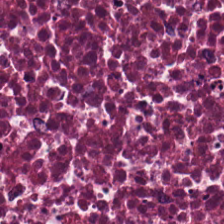Hematoxylin-and-eosin stained section. 224×224 px patch. Classification = debris.
